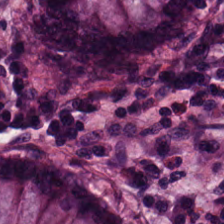H&E stain.
Tissue: normal colon mucosa.
